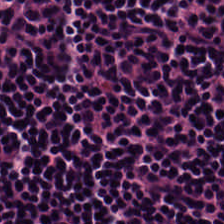H&E.
Tissue type = lymphocytic infiltrate.
